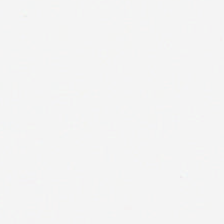H&E-stained tissue section.
This field is background (no tissue).
